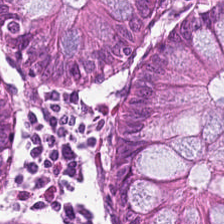Stain: H&E.
Tissue: non-neoplastic colon mucosa.
